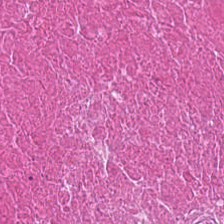FFPE · hematoxylin and eosin.
This patch shows debris.
